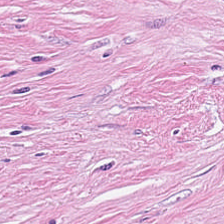H&E stain. This patch shows desmoplastic stroma.
